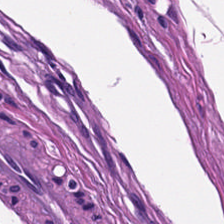Formalin-fixed paraffin-embedded section. H&E stain.
Q: What is shown in this field?
A: This is muscularis.
